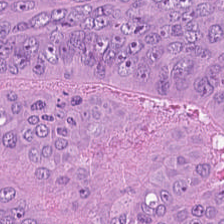Classification — adenocarcinoma.
